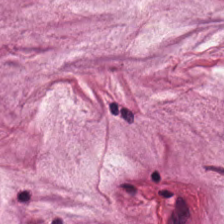Predominant tissue = mucus.
